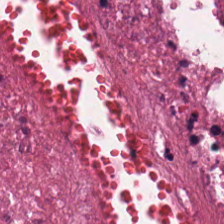Formalin-fixed paraffin-embedded section. H&E-stained tissue section — Predominantly debris.
